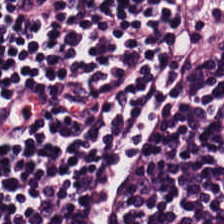H&E-stained tissue section. The predominant tissue is lymphocytes.
